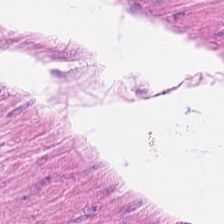20× equivalent magnification; H&E stain. Showing muscularis.
